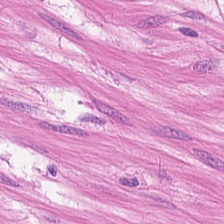Stain: hematoxylin and eosin.
Preparation: FFPE.
Predominant tissue: smooth muscle.
